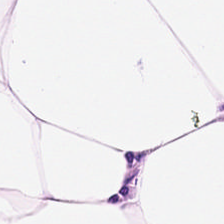Q: What type of tissue is this?
A: This is adipocytes.
